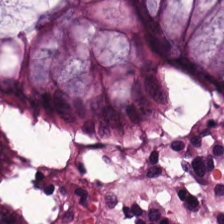Tissue: normal colonic mucosa.
